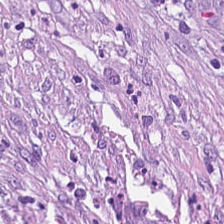Hematoxylin-and-eosin stained section. Q: What type of tissue is this?
A: This is desmoplastic stroma.
